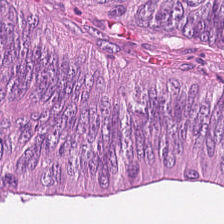Hematoxylin-and-eosin stained section.
Tissue class = tumor epithelium.
